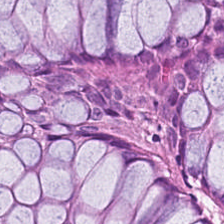Q: Classify this patch.
A: It is normal colon mucosa.
